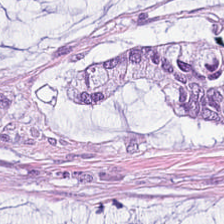Hematoxylin-and-eosin stained section; 224×224 px patch. The predominant tissue is extracellular mucin.
